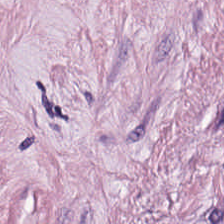Stain: hematoxylin-and-eosin stained section.
Predominant tissue: tumor stroma.
